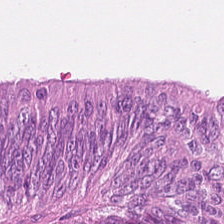Hematoxylin-and-eosin stained section · brightfield microscopy.
Malignant epithelium.
